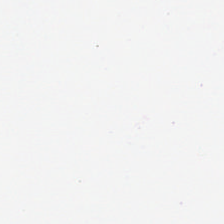H&E-stained tissue section. Background — no tissue in this field.
